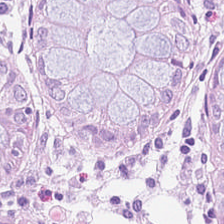Classification — non-neoplastic colon mucosa.
